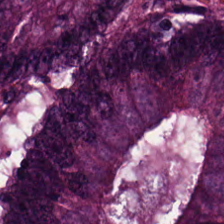H&E. Tissue type = adenocarcinoma.
